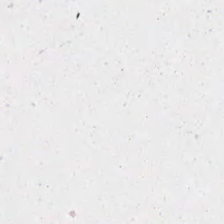Empty field — background (no tissue).
